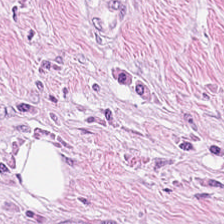Stain: H&E.
Resolution: 0.5 µm per pixel.
Predominant tissue: cancer-associated stroma.
